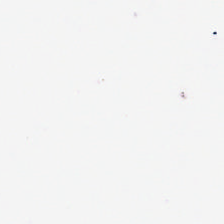H&E stain. 224×224 pixel tile. Q: What is shown here?
A: Background (no tissue).
